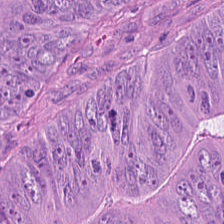Stain: H&E stain.
Predominant tissue: malignant epithelium.
